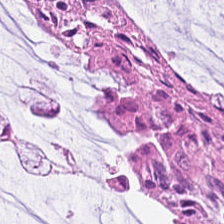Hematoxylin-and-eosin stained section — Predominantly non-neoplastic colon mucosa.
